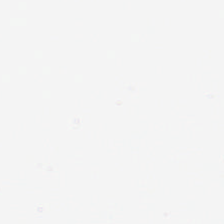H&E-stained tissue section · 224×224 pixel tile.
No tissue present; background only.
